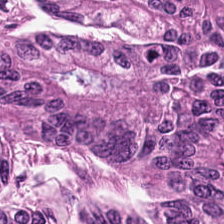Stain: H&E.
Predominant tissue: adenocarcinoma.
